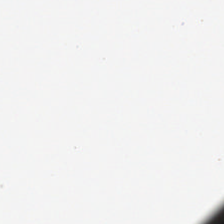H&E stain; 0.5 µm per pixel; FFPE — Histology → background.
